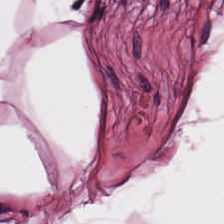224×224 px tile; hematoxylin-and-eosin stained section. {"tissue_type": "fat tissue"}
